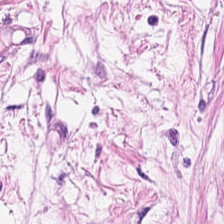The tissue here is tumor stroma.
